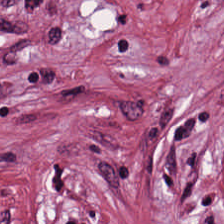H&E stain. 20× equivalent magnification. The predominant tissue is tumor-associated stroma.
